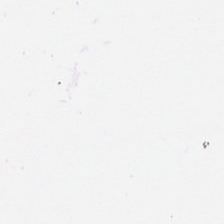Q: What is shown in this field?
A: Background.
